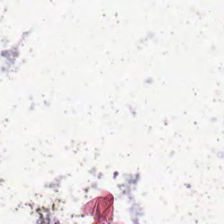H&E stain — No tissue.
